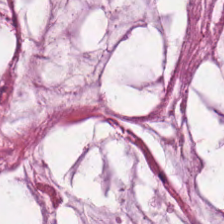224×224 px tile; hematoxylin and eosin; FFPE — Mucin.
